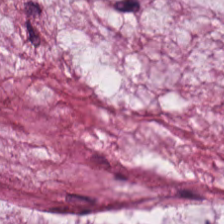H&E stain.
Mucus.
